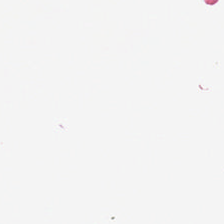H&E-stained tissue section. 224×224 pixel tile. 20× equivalent magnification — Q: What is shown in this field?
A: It is background (no tissue).
